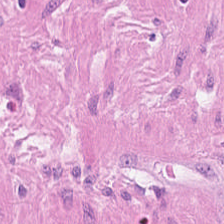H&E stain. 224×224 px patch — Predominantly smooth-muscle tissue.
